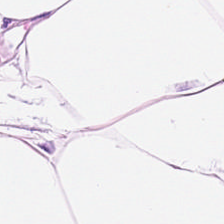Stain: H&E stain.
Resolution: 0.5 microns per pixel.
Tissue: adipocytes.
